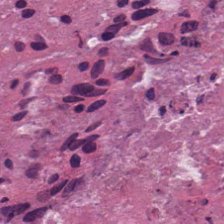Hematoxylin-and-eosin section: debris.
